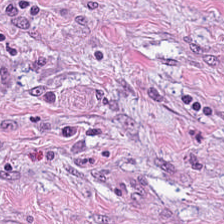H&E; FFPE.
Predominantly tumor-associated stroma.
